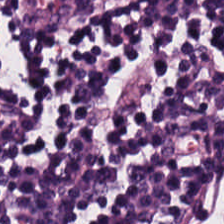Hematoxylin-and-eosin stained section; formalin-fixed paraffin-embedded section. Showing lymphocytic infiltrate.
